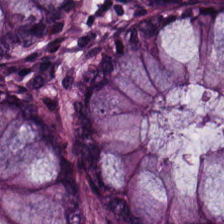Q: Identify the tissue.
A: The field shows benign colonic mucosa.
